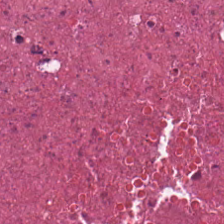H&E; 20× equivalent magnification.
The tissue here is cellular debris.
